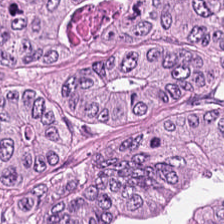H&E. Finding — tumor epithelium.
